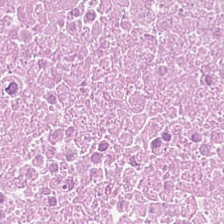Stain: H&E stain.
Resolution: 0.5 microns per pixel.
Preparation: FFPE.
Tissue: debris.
